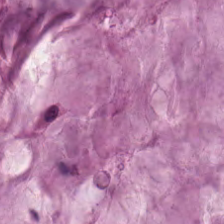FFPE tissue section; 20× equivalent magnification; hematoxylin-and-eosin stained section — Q: What is shown here?
A: The field shows mucin.
